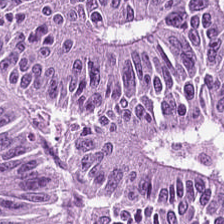This field is adenocarcinoma.
